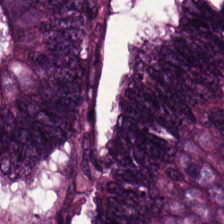H&E stain · formalin-fixed paraffin-embedded section · 0.5 microns per pixel — This field is adenocarcinoma.
